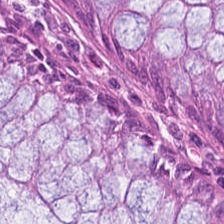Hematoxylin and eosin — This field is non-neoplastic colon mucosa.
